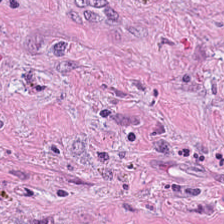Hematoxylin and eosin — {"tissue_type": "desmoplastic stroma"}
